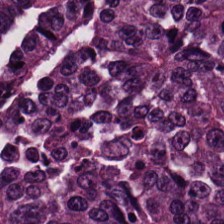Stain: H&E-stained tissue section.
Tissue: colorectal adenocarcinoma.
